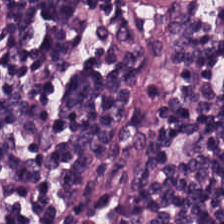H&E · 0.5 microns per pixel. The tissue here is lymphocytic infiltrate.
